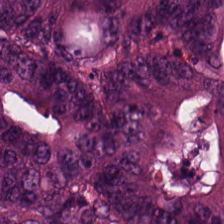H&E stain. Showing malignant epithelium.
